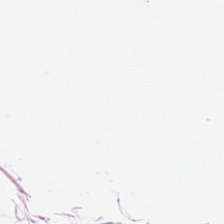Hematoxylin and eosin. Tissue = adipose.
